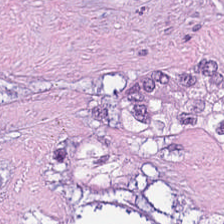H&E-stained tissue section; 224×224 px patch — Q: What is shown in this field?
A: This is necrotic debris.
